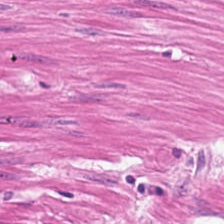Tissue type = muscularis.
